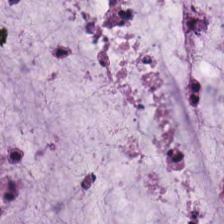H&E. FFPE tissue section. Tissue type — extracellular mucin.
